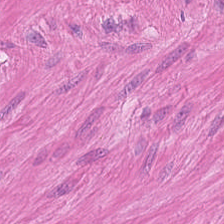Stain: H&E stain.
Tile size: 224×224 px patch.
Tissue class: smooth-muscle tissue.
